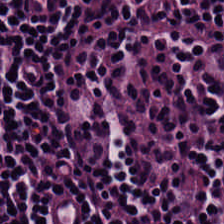Tissue type: lymphocyte aggregate.
